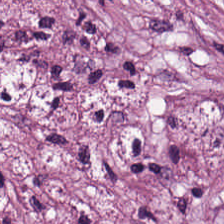H&E-stained tissue section. 0.5 µm per pixel. WSI patch.
Cancer-associated stroma.
